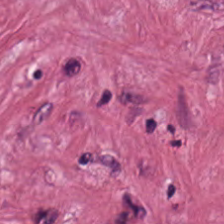H&E stain; 224×224 px tile; brightfield.
{"tissue_type": "tumor-associated stroma"}
